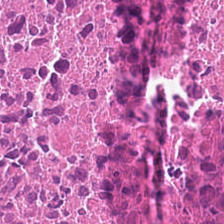Hematoxylin-and-eosin stained section; 0.5 µm per pixel — Finding — cellular debris.
